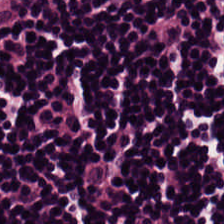Histology → lymphocytic infiltrate.
